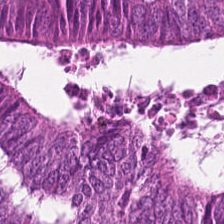20× equivalent magnification. Hematoxylin and eosin. The tissue here is colorectal adenocarcinoma.
